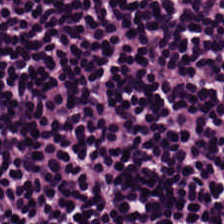H&E stain. Showing lymphocyte aggregate.
